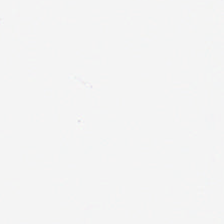H&E stain. FFPE tissue section. Content = background (no tissue).
